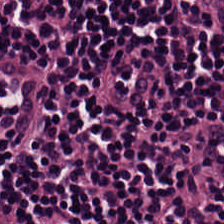H&E-stained tissue section. This patch shows lymphocytic infiltrate.
